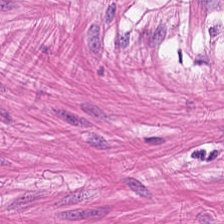H&E-stained tissue section.
{"tissue_type": "smooth muscle"}
